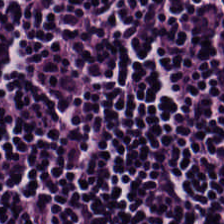Hematoxylin and eosin — Showing lymphocytes.
